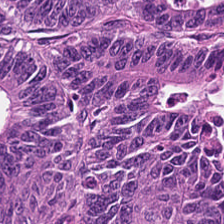Hematoxylin-and-eosin stained section — Predominant tissue: malignant epithelium.
